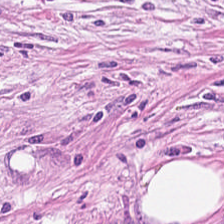Formalin-fixed paraffin-embedded section · H&E · WSI patch — Classification — tumor-associated stroma.
